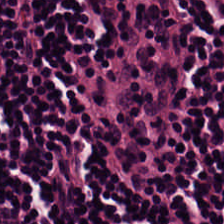FFPE · H&E-stained tissue section · 224×224 pixel tile.
The predominant tissue is lymphocytic infiltrate.
